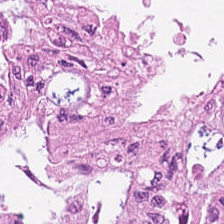Whole-slide-image patch; H&E-stained tissue section.
Showing colorectal adenocarcinoma epithelium.
